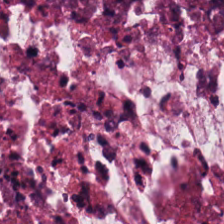Classification: necrotic debris.
